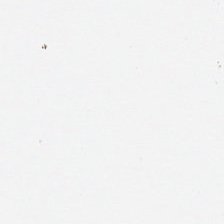FFPE; 224×224 px patch; H&E-stained tissue section.
Histology → background (no tissue).
